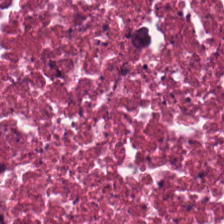{"tissue_type": "cellular debris"}
